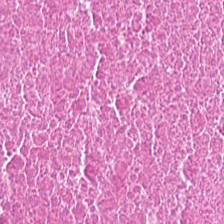Stain: H&E-stained tissue section.
Preparation: FFPE tissue section.
Tissue class: debris.
